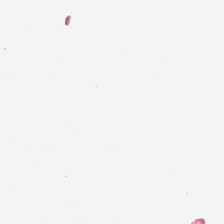H&E.
Content: empty background.
